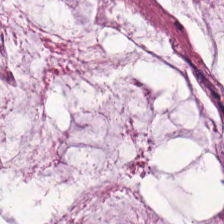{"tissue_type": "extracellular mucin"}
